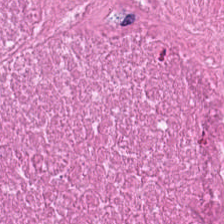Predominant tissue = debris.
